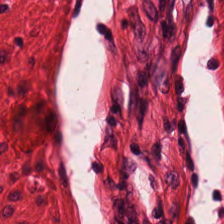Hematoxylin and eosin. 0.5 microns per pixel. Whole-slide-image patch.
Q: Identify the tissue.
A: This is muscularis.
